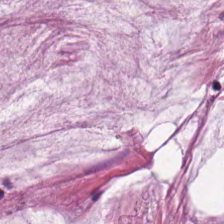H&E stain — The tissue here is mucin.
